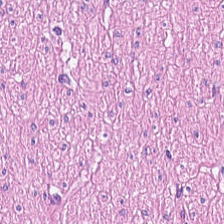Stain: H&E stain.
Tissue type: smooth muscle.
